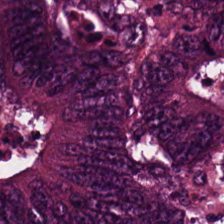Hematoxylin-and-eosin stained section. Finding — malignant epithelium.
